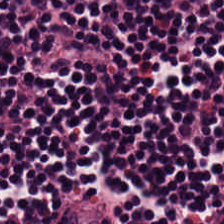20× equivalent magnification · brightfield microscopy · H&E. Q: What is the predominant tissue type?
A: It is lymphocytes.
